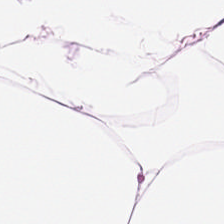H&E-stained tissue section.
Predominantly fat tissue.
